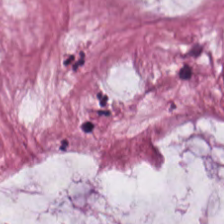Hematoxylin and eosin — Showing mucus.
